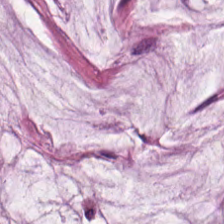H&E stain. Formalin-fixed paraffin-embedded section.
The predominant tissue is mucin.
